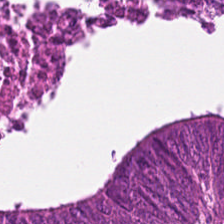H&E-stained tissue section. 224×224 pixel tile. Q: What is shown in this field?
A: It is tumor epithelium.
